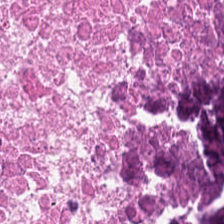20× equivalent magnification; FFPE; H&E-stained tissue section. Q: What is shown here?
A: Necrotic debris.
